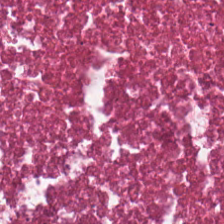H&E. Histology — cellular debris.
